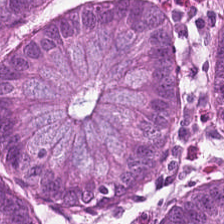Stain: H&E-stained tissue section.
Preparation: formalin-fixed paraffin-embedded section.
Tissue: normal colonic mucosa.
